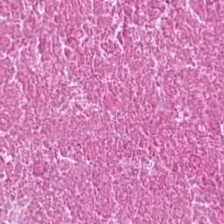224×224 px patch. H&E stain.
The tissue here is debris.
